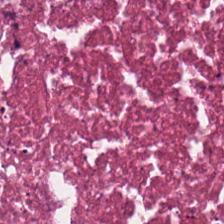Hematoxylin-and-eosin stained section. Impression — debris.
